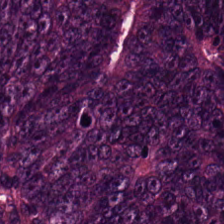H&E — adenocarcinoma.
